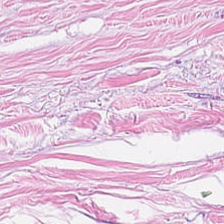Hematoxylin-and-eosin stained section. Classification — cancer-associated stroma.
